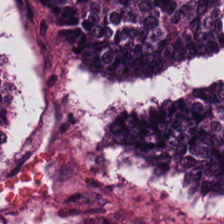WSI patch. H&E stain.
Predominantly colorectal adenocarcinoma epithelium.
